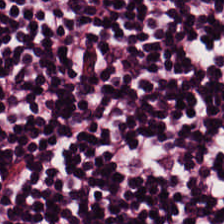Stain: H&E-stained tissue section.
Tissue class: lymphocytes.
